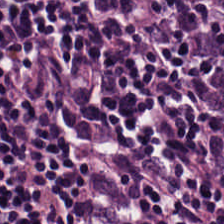{"tissue_type": "lymphoid infiltrate"}
